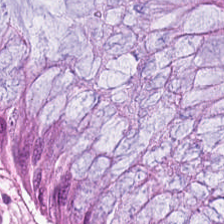H&E. Q: Identify the tissue.
A: Benign colonic mucosa.
